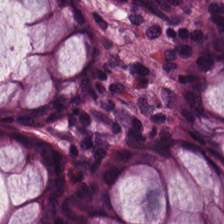H&E-stained tissue section · 224×224 pixel tile. This patch shows non-neoplastic colon mucosa.
